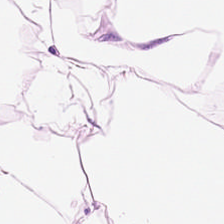H&E stain.
This patch shows adipose tissue.
